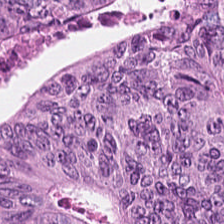H&E stain. Finding → adenocarcinoma.
